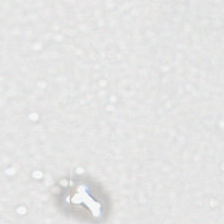H&E stain · 224×224 pixel tile.
Q: What does this patch show?
A: Empty background.
